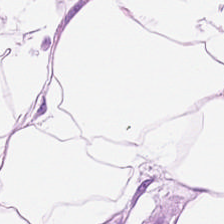Whole-slide-image patch · H&E. Tissue — adipose tissue.
